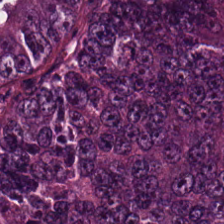Hematoxylin and eosin. Predominantly malignant epithelium.
